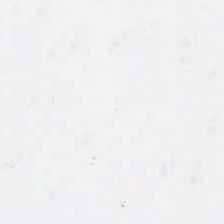Field content: background (no tissue).
